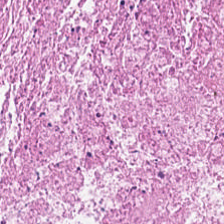H&E-stained tissue section · formalin-fixed paraffin-embedded section. Tissue type = cellular debris.
